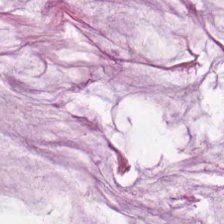Predominantly mucus.
